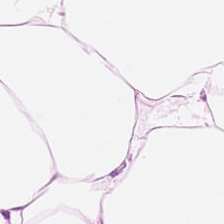Brightfield. H&E stain. Showing adipocytes.
